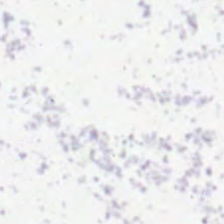Formalin-fixed paraffin-embedded section; hematoxylin and eosin — This field is background (no tissue).
